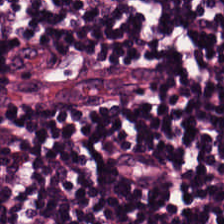Hematoxylin and eosin · brightfield.
Q: What does this patch show?
A: The field shows lymphocytic infiltrate.
